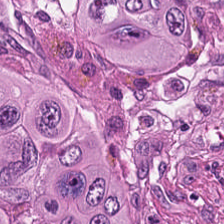H&E stain. {"tissue_type": "colorectal adenocarcinoma"}
